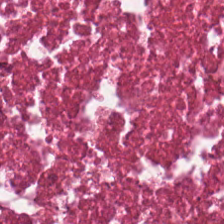Hematoxylin and eosin · 224×224 px tile. The predominant tissue is necrotic debris.
